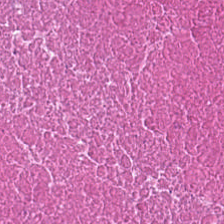H&E-stained tissue section · FFPE — The tissue here is necrotic debris.
